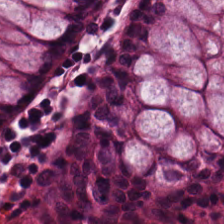Stain: H&E.
Classification: normal colon mucosa.
